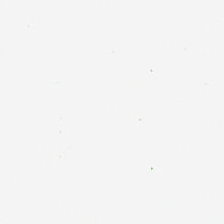Brightfield · H&E. No tissue present; background only.
